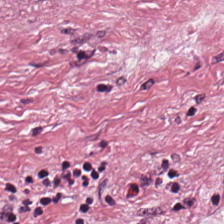Finding — cancer-associated stroma.
